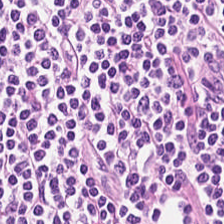Tissue: lymphocytes.
